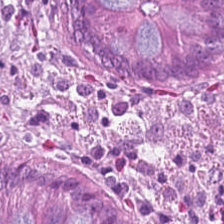H&E · 0.5 microns per pixel. Showing non-neoplastic colon mucosa.
